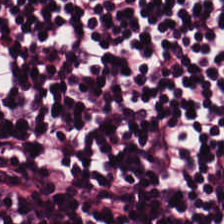224×224 px patch; hematoxylin-and-eosin stained section.
Lymphocytic infiltrate.
